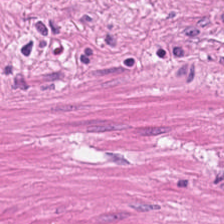The predominant tissue is smooth-muscle tissue.
